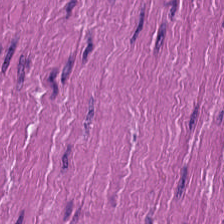H&E-stained tissue section — The tissue here is smooth muscle.
